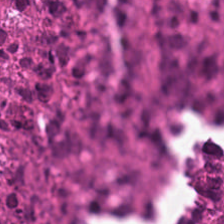The tissue here is necrotic debris.
